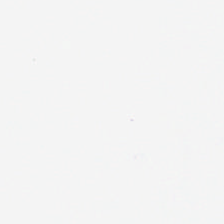H&E stain. 224×224 px patch.
Empty field — background.
